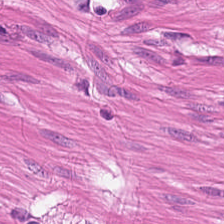Hematoxylin and eosin. Classification = smooth-muscle tissue.
